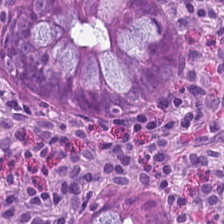20× equivalent magnification. H&E-stained tissue section — Tissue type: non-neoplastic colon mucosa.
